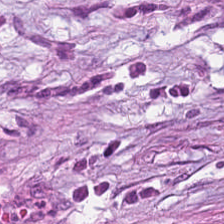H&E-stained tissue section — Q: What tissue is shown?
A: Desmoplastic stroma.
